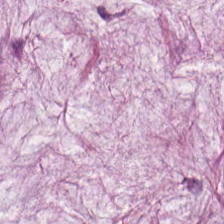Stain: H&E-stained tissue section.
Tissue class: mucus.
